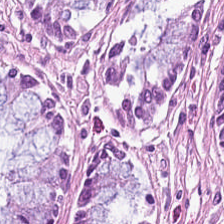{"tissue_type": "normal colon mucosa"}
